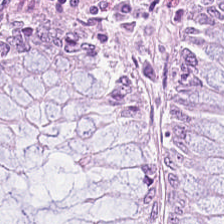FFPE · H&E. This field is non-neoplastic colon mucosa.
